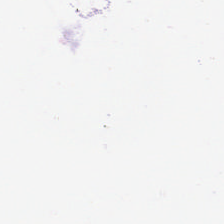Hematoxylin and eosin.
Content — background.
